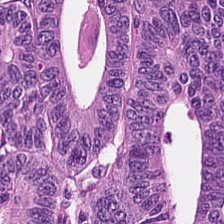224×224 pixel tile · 20× equivalent magnification · hematoxylin and eosin. Showing malignant epithelium.
